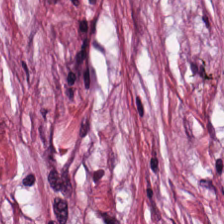H&E-stained tissue section; WSI patch. This patch shows tumor-associated stroma.
